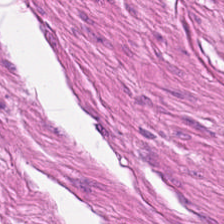The tissue here is smooth muscle.
